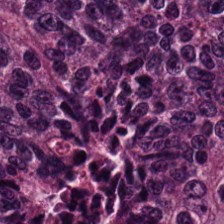Formalin-fixed paraffin-embedded section. Hematoxylin-and-eosin stained section. 224×224 pixel tile — {"tissue_type": "tumor epithelium"}
